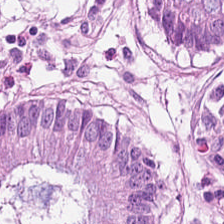Hematoxylin and eosin · 224×224 pixel tile — Q: What is shown in this field?
A: Non-neoplastic colon mucosa.
